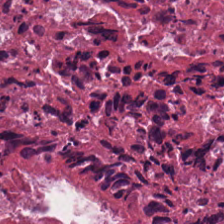Finding → necrotic debris.
